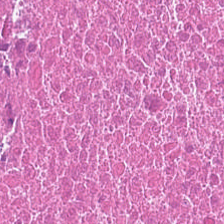Formalin-fixed paraffin-embedded section; hematoxylin-and-eosin stained section.
The predominant tissue is necrotic debris.
